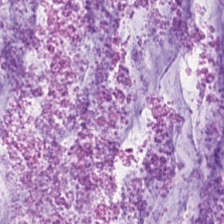H&E stain. Impression — extracellular mucin.
